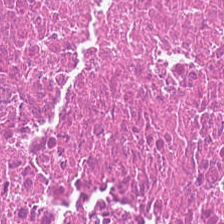Predominant tissue — necrotic debris.
